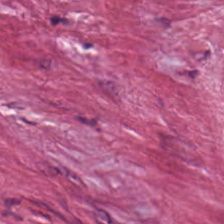Q: What is shown in this field?
A: It is tumor stroma.
